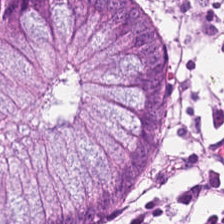Tissue type: non-neoplastic colon mucosa.
